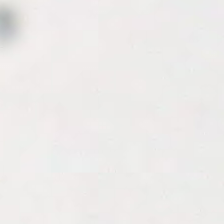{"content": "empty background"}
